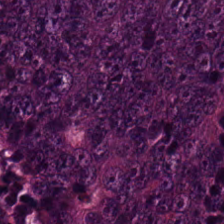H&E stain — Classification: colorectal adenocarcinoma epithelium.
